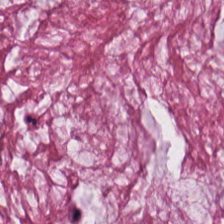224×224 px tile. H&E stain.
Predominantly extracellular mucin.
